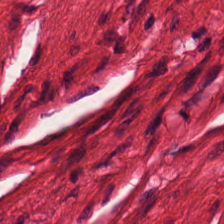Tissue class: muscularis.
